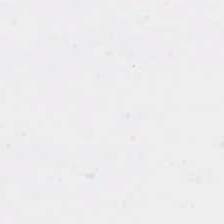Field content — background (no tissue).
